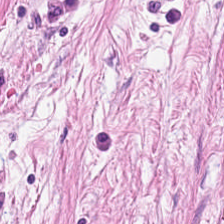Stain: H&E-stained tissue section.
Acquisition: brightfield.
Resolution: 0.5 µm/px.
Predominant tissue: tumor-associated stroma.
